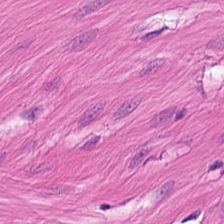H&E-stained tissue section — This patch shows smooth-muscle tissue.
